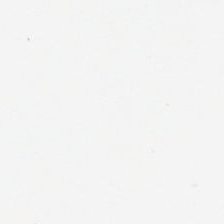FFPE · hematoxylin and eosin · whole-slide-image patch.
Content — empty background.
